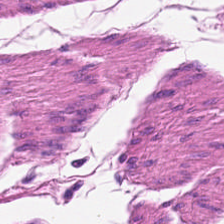The tissue type is smooth muscle.
